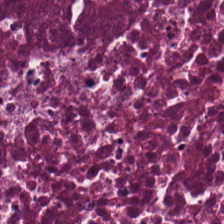Hematoxylin and eosin · 0.5 microns per pixel · whole-slide-image patch. Q: What is shown in this field?
A: It is necrotic debris.
